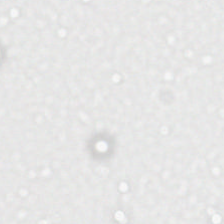Hematoxylin and eosin. Brightfield microscopy. Content = empty background.
